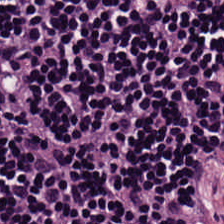Stain: hematoxylin-and-eosin stained section.
Predominant tissue: lymphocytes.
